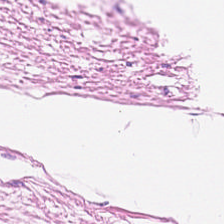Formalin-fixed paraffin-embedded section. Hematoxylin-and-eosin stained section. 0.5 microns per pixel.
Predominantly smooth muscle.
